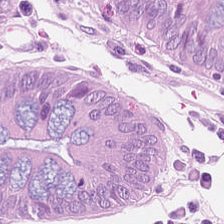0.5 µm/px; H&E. {"tissue_type": "normal colonic mucosa"}
